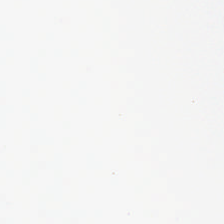Formalin-fixed paraffin-embedded section. 0.5 µm per pixel. Hematoxylin-and-eosin stained section. Background — no tissue in this field.
